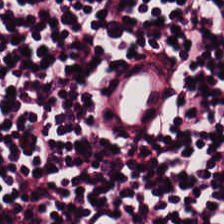0.5 microns per pixel. Hematoxylin and eosin — Lymphocytic infiltrate.
